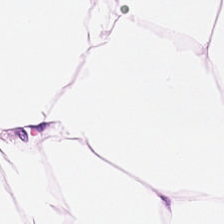H&E-stained tissue section; 224×224 px patch.
Predominant tissue = adipose tissue.
